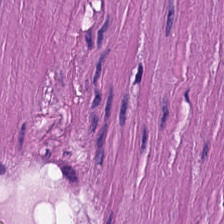224×224 px patch; hematoxylin-and-eosin stained section — Q: What does this patch show?
A: It is smooth muscle.
